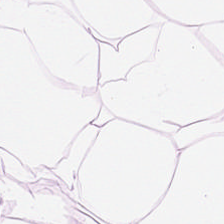Hematoxylin-and-eosin stained section. Classification = adipose.
